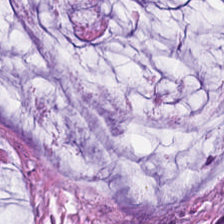Stain: H&E-stained tissue section.
Preparation: FFPE tissue section.
Classification: mucus.
